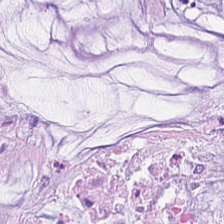H&E stain. The predominant tissue is extracellular mucin.
